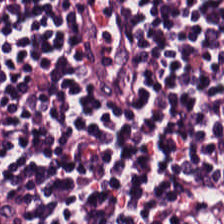H&E-stained tissue section.
Q: What is shown in this field?
A: This is lymphocytic infiltrate.
